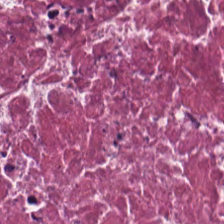H&E-stained tissue section · 224×224 px patch · whole-slide-image patch.
Q: What is shown here?
A: The field shows cellular debris.
